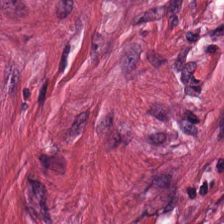Hematoxylin and eosin.
The predominant tissue is tumor-associated stroma.
